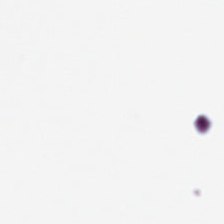Hematoxylin-and-eosin stained section — Q: What is shown in this field?
A: This is no tissue.
